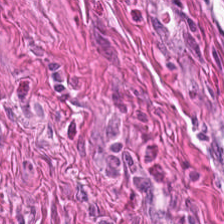Whole-slide-image patch; H&E. This field is muscularis.
